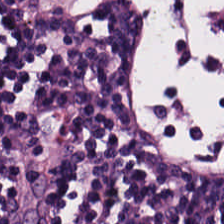H&E. The tissue here is lymphocytes.
